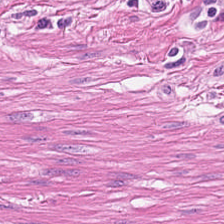The predominant tissue is smooth-muscle tissue.
